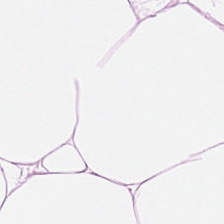Finding — fat tissue.
